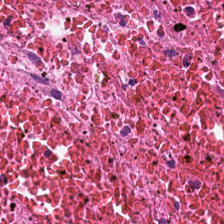H&E-stained tissue section — Finding → necrotic debris.
